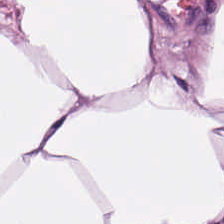H&E-stained tissue section. Finding → adipose tissue.
